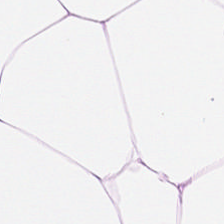224×224 px patch; H&E.
This patch shows adipocytes.
